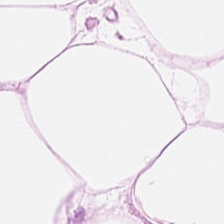H&E — Predominantly fat tissue.
